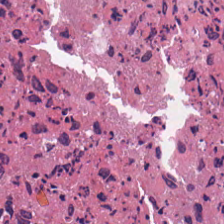H&E. Finding → necrotic debris.
